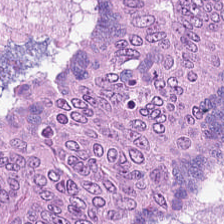Hematoxylin-and-eosin section: malignant epithelium.
